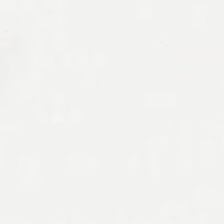224×224 px patch · hematoxylin and eosin.
The content is empty background.
